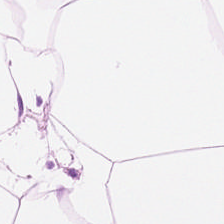20× equivalent magnification. Hematoxylin-and-eosin stained section.
Predominantly adipose.
